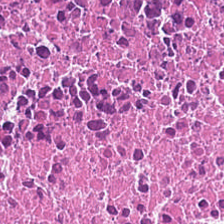Hematoxylin-and-eosin section: necrotic debris.
